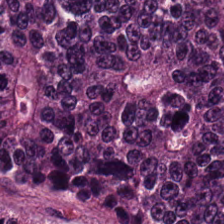Finding → colorectal adenocarcinoma.
